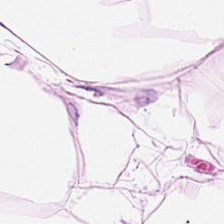224×224 px patch. 0.5 µm/px. H&E-stained tissue section.
Tissue type — fat tissue.
